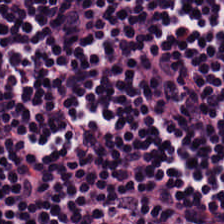Lymphoid infiltrate.
